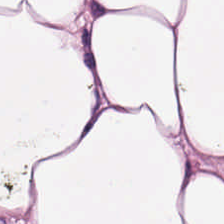H&E-stained tissue section.
Showing adipocytes.
